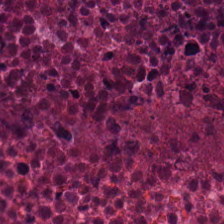H&E.
Showing debris.
